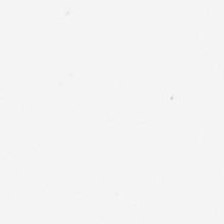Classification — background.
